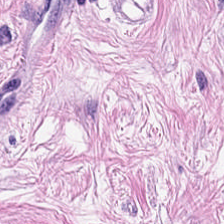Hematoxylin-and-eosin stained section · 20× equivalent magnification. The predominant tissue is tumor-associated stroma.
